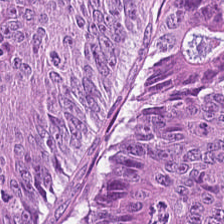H&E-stained section; the field shows colorectal adenocarcinoma epithelium.
